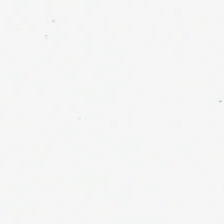H&E stain. This field is background (no tissue).
